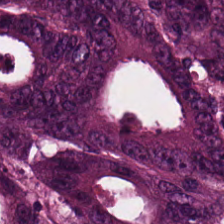H&E.
{"tissue_type": "colorectal adenocarcinoma epithelium"}
